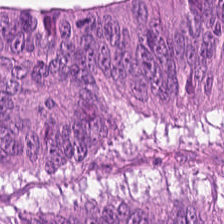H&E stain — Q: What tissue is shown?
A: The field shows colorectal adenocarcinoma epithelium.
